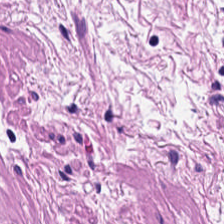Q: What does this patch show?
A: It is smooth-muscle tissue.
